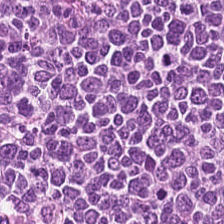{"tissue_type": "lymphocytes"}
